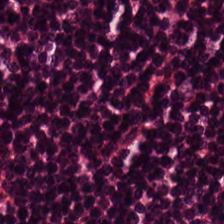H&E-stained tissue section showing lymphoid infiltrate.
